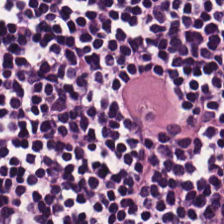H&E stain. Predominant tissue: lymphocytic infiltrate.
